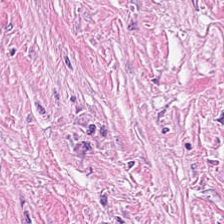224×224 pixel tile; hematoxylin-and-eosin stained section; 20× equivalent magnification.
Cancer-associated stroma.
